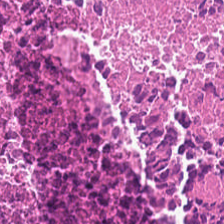H&E · 224×224 px patch.
Histology — necrotic debris.
